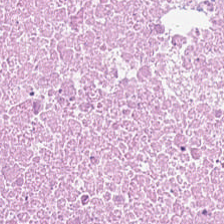H&E stain. 0.5 µm/px. Formalin-fixed paraffin-embedded section.
Classification = necrotic debris.
